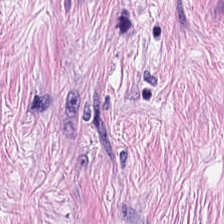Stain: H&E stain.
Preparation: formalin-fixed paraffin-embedded section.
Tile size: 224×224 px tile.
Predominant tissue: tumor-associated stroma.
